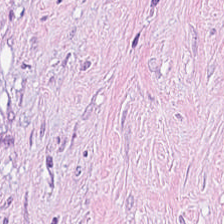Hematoxylin and eosin. The predominant tissue is tumor-associated stroma.
